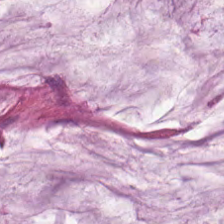Finding → extracellular mucin.
